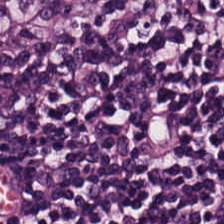H&E stain — Predominant tissue — lymphocyte aggregate.
